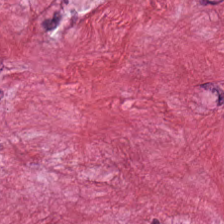224×224 px tile · hematoxylin and eosin. The tissue class is desmoplastic stroma.
